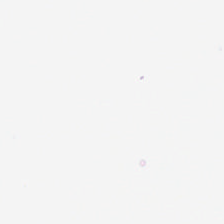Stain: H&E-stained tissue section.
Classification: empty background.
